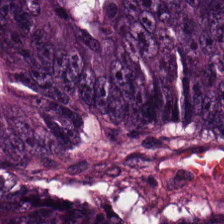Hematoxylin-and-eosin section: colorectal adenocarcinoma.
